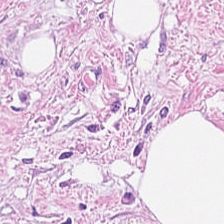Whole-slide-image patch; H&E. Q: What is shown in this field?
A: It is cancer-associated stroma.
